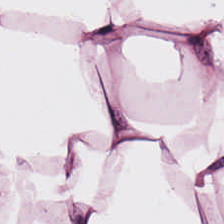Stain: H&E stain.
Classification: adipose tissue.
